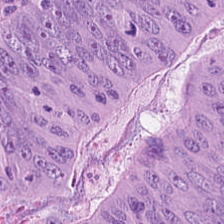Q: What tissue is shown?
A: Adenocarcinoma.
